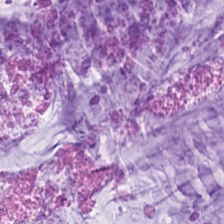{"tissue_type": "mucin"}
